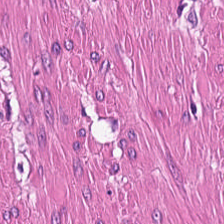Hematoxylin and eosin. Q: What does this patch show?
A: This is smooth muscle.
